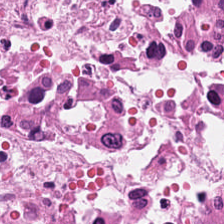H&E. Q: What tissue type is shown here?
A: It is necrotic debris.
